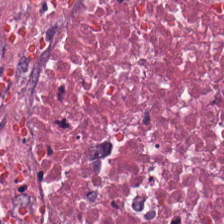H&E-stained tissue section.
Finding — necrotic debris.
